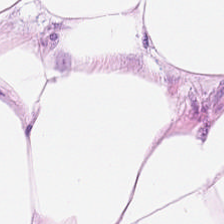Hematoxylin and eosin.
The predominant tissue is adipocytes.
